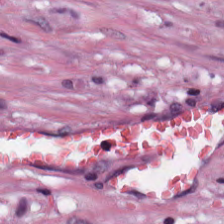Q: What tissue type is shown here?
A: This is tumor-associated stroma.
